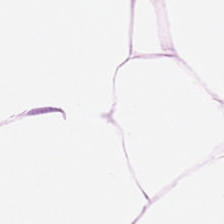Tissue class: fat tissue.
